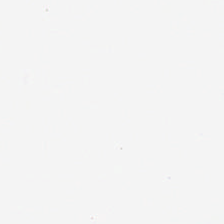Brightfield; H&E-stained tissue section. No tissue present; background only.
